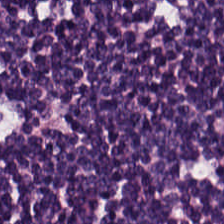Hematoxylin and eosin.
Finding → lymphoid infiltrate.
